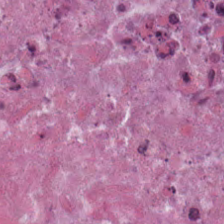Tissue: debris.
